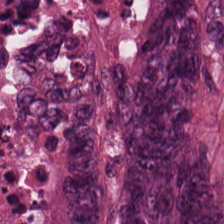Hematoxylin and eosin. Predominantly tumor epithelium.
